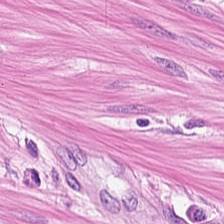H&E · 224×224 px patch.
Predominant tissue: muscularis.
